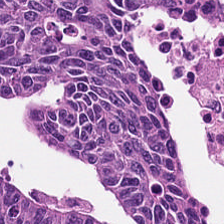H&E — Tissue: colorectal adenocarcinoma.
